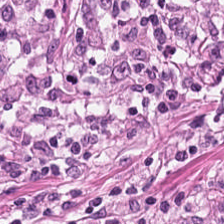Hematoxylin and eosin. Tumor-associated stroma.
